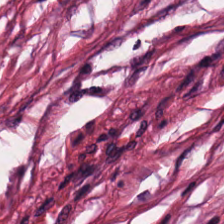Stain: hematoxylin-and-eosin stained section.
Resolution: 0.5 µm per pixel.
Acquisition: WSI patch.
Tissue: tumor-associated stroma.
